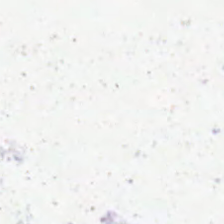Finding — background.
